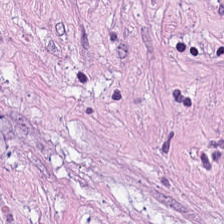Hematoxylin-and-eosin stained section. 224×224 px patch — This field is cancer-associated stroma.
